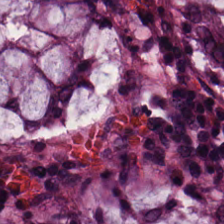Hematoxylin-and-eosin stained section — Q: What does this patch show?
A: This is normal colonic mucosa.
